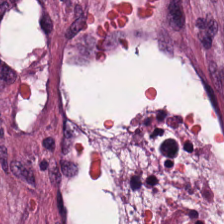Q: Identify the tissue.
A: The field shows tumor-associated stroma.
